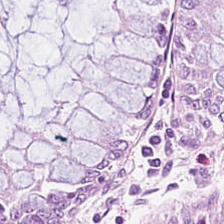H&E-stained tissue section showing normal colonic mucosa.
